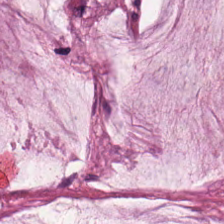20× equivalent magnification · hematoxylin and eosin.
The tissue here is mucus.
